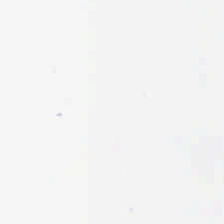Whole-slide-image patch. Hematoxylin-and-eosin stained section. 224×224 pixel tile — Background (no tissue).
